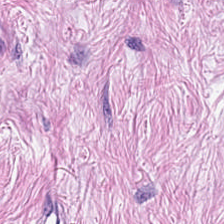224×224 px tile; H&E-stained tissue section — Q: Classify this patch.
A: The field shows tumor stroma.
